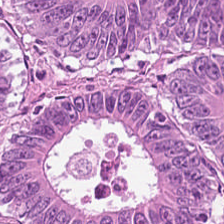Hematoxylin and eosin. The predominant tissue is adenocarcinoma.
